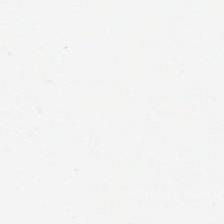No tissue present; background only.
